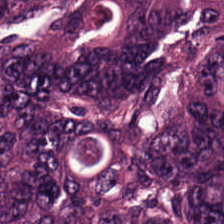H&E-stained section; the field shows adenocarcinoma.
